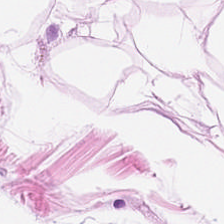Hematoxylin-and-eosin section: fat tissue.
